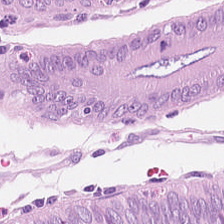Showing normal colon mucosa.
